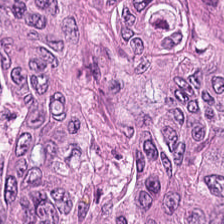Brightfield. Hematoxylin and eosin.
The tissue is malignant epithelium.
